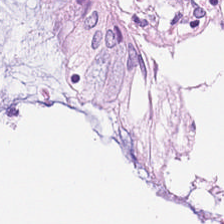H&E-stained tissue section · FFPE. Predominant tissue = non-neoplastic colon mucosa.
